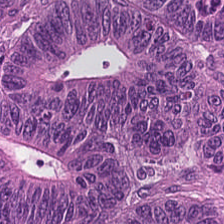H&E. This field is adenocarcinoma.
